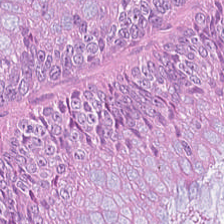H&E-stained tissue section.
Tissue = colorectal adenocarcinoma.
